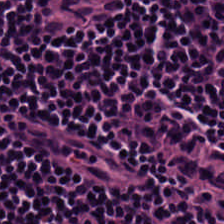Formalin-fixed paraffin-embedded section. H&E.
Tissue — lymphocytic infiltrate.
